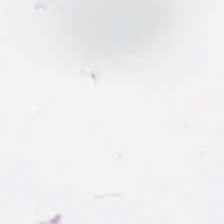H&E.
No tissue present; background only.
